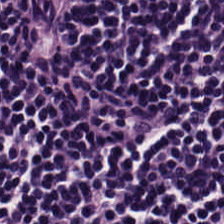H&E-stained tissue section. FFPE. This field is lymphocytes.
